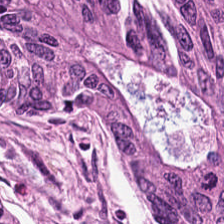Formalin-fixed paraffin-embedded section · H&E-stained tissue section — Tissue type = malignant epithelium.
